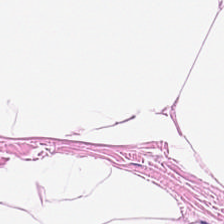H&E stain. 224×224 pixel tile.
Adipose tissue.
